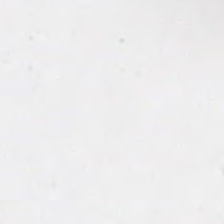Field content: background (no tissue).
